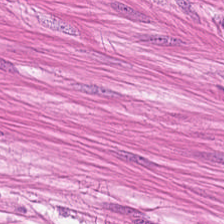FFPE tissue section. Whole-slide-image patch. H&E.
This field is smooth muscle.
